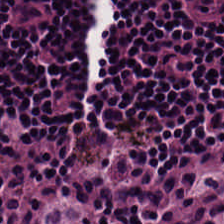Stain: hematoxylin-and-eosin stained section.
Acquisition: WSI patch.
Tissue type: lymphocytes.
